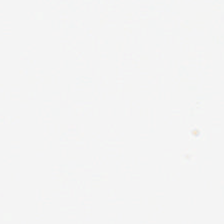Empty field — no tissue.
